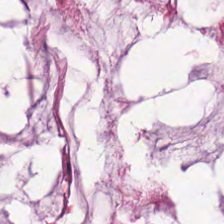Hematoxylin-and-eosin stained section · whole-slide-image patch. Tissue class = extracellular mucin.
